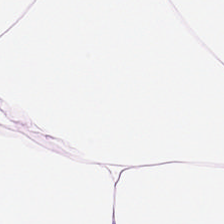Tissue type: adipose tissue.
